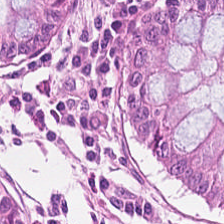{"tissue_type": "benign colonic mucosa"}
